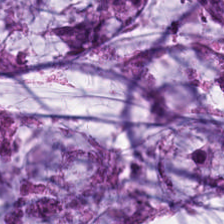H&E. Tissue class: mucus.
